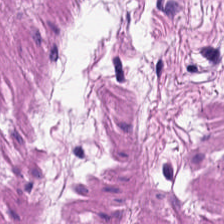H&E-stained tissue section; brightfield microscopy.
The tissue type is muscularis.
